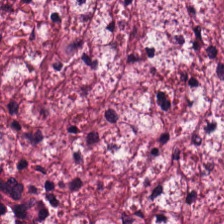H&E · 0.5 microns per pixel — Q: Identify the tissue.
A: The field shows tumor-associated stroma.
